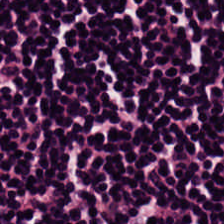Impression → lymphocyte aggregate.
